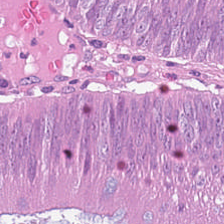H&E-stained tissue section.
Q: What is shown in this field?
A: Malignant epithelium.
